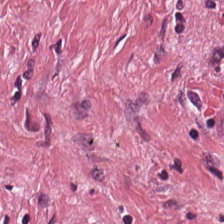H&E-stained tissue section.
Classification — tumor-associated stroma.
